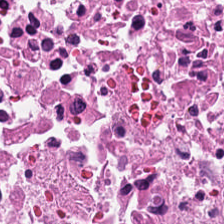Impression — debris.
